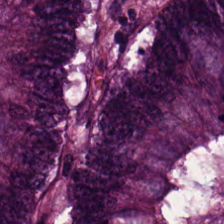H&E stain. Showing tumor epithelium.
